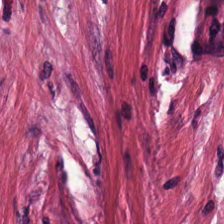Hematoxylin and eosin — Tissue: desmoplastic stroma.
